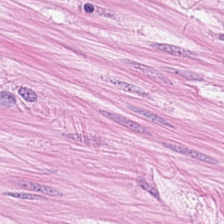H&E.
Q: What tissue type is shown here?
A: Smooth muscle.
